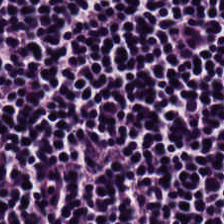224×224 px tile; brightfield microscopy; hematoxylin-and-eosin stained section.
This patch shows lymphocytic infiltrate.
